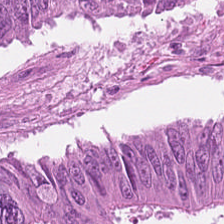{"tissue_type": "adenocarcinoma"}
